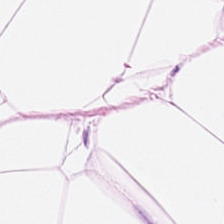H&E.
Tissue type = fat tissue.
